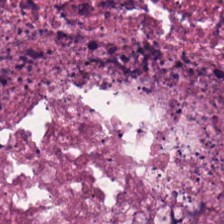Predominant tissue = necrotic debris.
